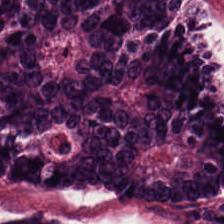Stain: H&E-stained tissue section.
Tile size: 224×224 pixel tile.
Tissue: adenocarcinoma.
